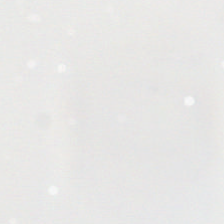H&E-stained tissue section — Histology → background (no tissue).
